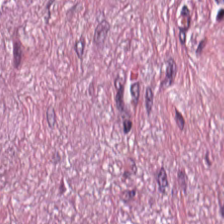H&E stain.
The predominant tissue is tumor stroma.
